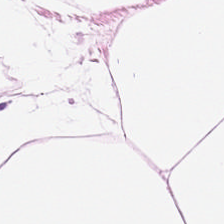Stain: hematoxylin and eosin.
Acquisition: WSI patch.
Tissue type: fat tissue.
